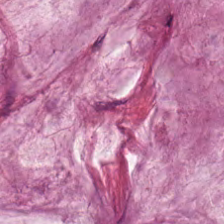H&E stain.
Tissue: extracellular mucin.
